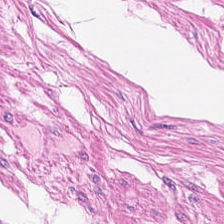Predominant tissue = smooth muscle.
